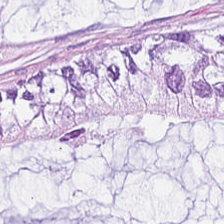Q: Classify this patch.
A: Extracellular mucin.
